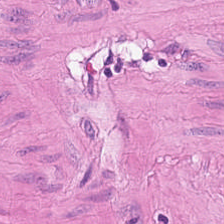H&E. 224×224 px tile — Histology — muscularis.
